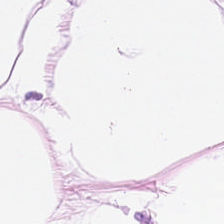Hematoxylin and eosin.
Showing adipose tissue.
